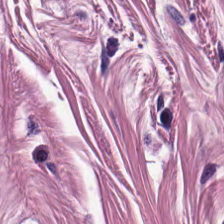0.5 µm/px · H&E-stained tissue section.
Histology — smooth-muscle tissue.
